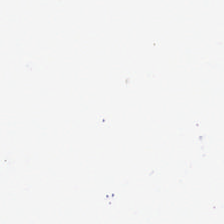H&E stain. WSI patch.
Classification — background.
